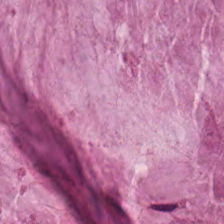H&E.
The classification is mucin.
